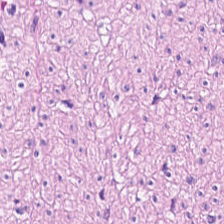Hematoxylin-and-eosin stained section. Q: Identify the tissue.
A: It is smooth-muscle tissue.
